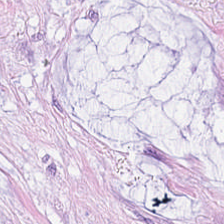H&E-stained tissue section. Tissue type = mucin.
